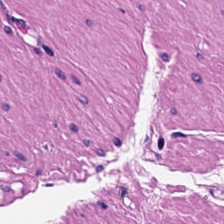Showing smooth-muscle tissue.
